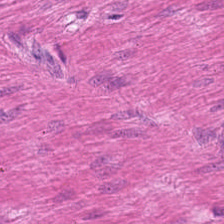H&E.
Tissue type — smooth muscle.
